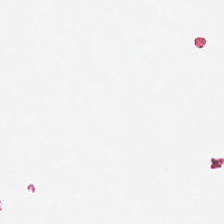Formalin-fixed paraffin-embedded section · 224×224 px patch · hematoxylin and eosin. The classification is background.
